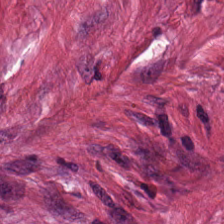Hematoxylin-and-eosin stained section — The predominant tissue is tumor stroma.
